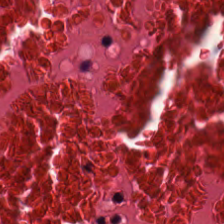Hematoxylin and eosin — Finding → necrotic debris.
